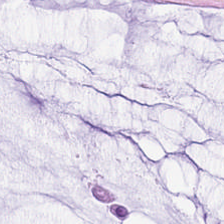Hematoxylin and eosin.
The classification is mucin.
